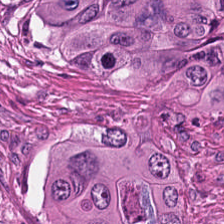Hematoxylin and eosin; 0.5 microns per pixel; FFPE tissue section.
The tissue class is malignant epithelium.
